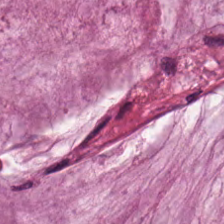Stain: H&E-stained tissue section.
Tissue type: extracellular mucin.
